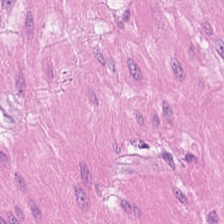H&E. 224×224 pixel tile. Tissue type — muscularis.
